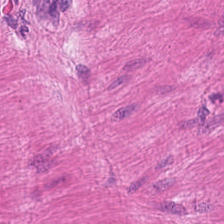H&E-stained tissue section · brightfield · 224×224 px patch. Finding — smooth-muscle tissue.
